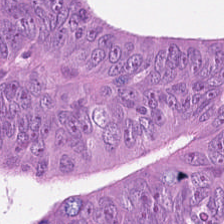Tissue class = adenocarcinoma.
